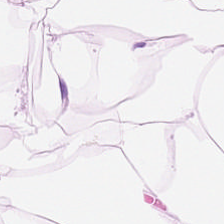Hematoxylin-and-eosin stained section — The classification is adipocytes.
